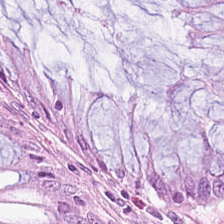Q: What is the predominant tissue type?
A: Normal colonic mucosa.
